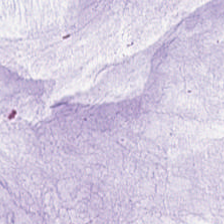H&E-stained tissue section showing extracellular mucin.
